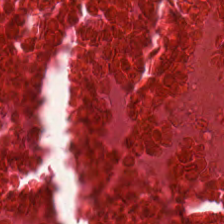Predominantly cellular debris.
